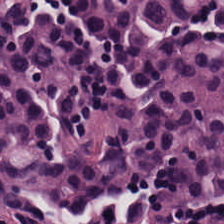H&E-stained tissue section; brightfield microscopy — Histology → lymphocytes.
